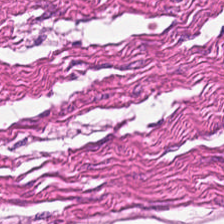Brightfield microscopy; hematoxylin-and-eosin stained section.
Predominant tissue: smooth muscle.
